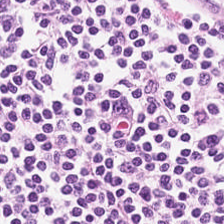Hematoxylin and eosin. {"tissue_type": "lymphocytic infiltrate"}
